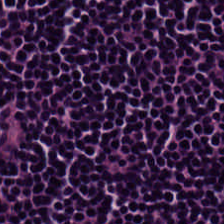Stain: H&E-stained tissue section.
Predominant tissue: lymphocytes.
